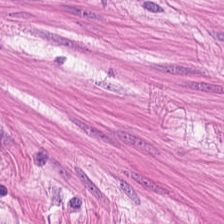H&E.
Q: Classify this patch.
A: It is smooth-muscle tissue.
